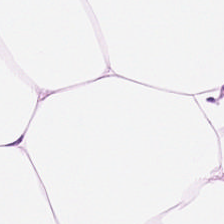H&E — Classification — fat tissue.
